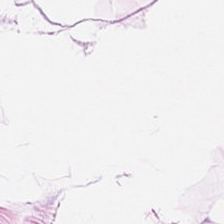H&E stain; 224×224 pixel tile. Adipose.
